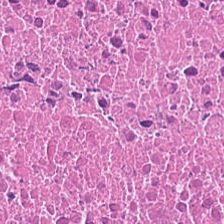H&E stain.
{"tissue_type": "cellular debris"}
